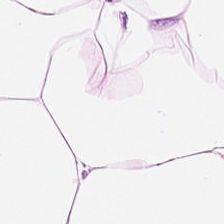H&E stain.
{"tissue_type": "fat tissue"}
